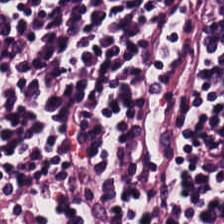H&E-stained tissue section.
The predominant tissue is lymphocytic infiltrate.
